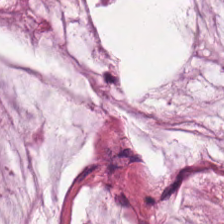H&E-stained tissue section — Classification = extracellular mucin.
